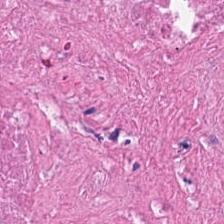0.5 µm per pixel · H&E — Classification = cellular debris.
